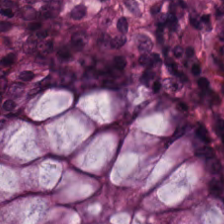Hematoxylin and eosin. Histology — normal colonic mucosa.
